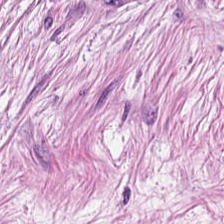Histology → tumor stroma.
